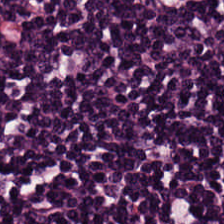Tissue class = lymphocytic infiltrate.
